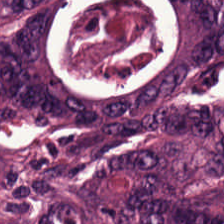Whole-slide-image patch; formalin-fixed paraffin-embedded section; hematoxylin and eosin.
Tissue class — tumor epithelium.
